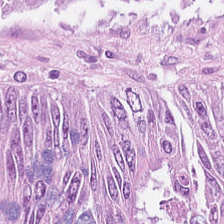Q: Identify the tissue.
A: Adenocarcinoma.
